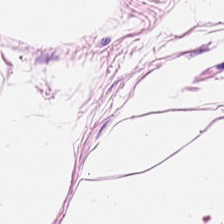H&E-stained tissue section — {"tissue_type": "adipocytes"}
